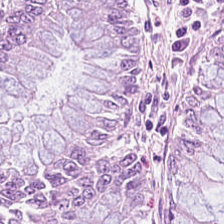H&E · whole-slide-image patch · formalin-fixed paraffin-embedded section.
Q: What tissue type is shown here?
A: Benign colonic mucosa.
